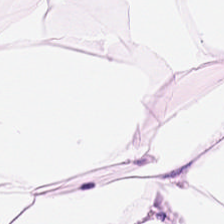224×224 px tile · formalin-fixed paraffin-embedded section · H&E-stained tissue section — Classification — fat tissue.
